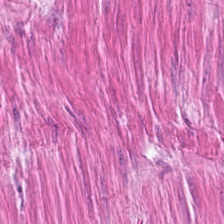H&E stain.
Histology → muscularis.
